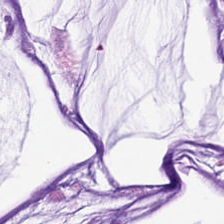Hematoxylin and eosin — Impression — mucus.
